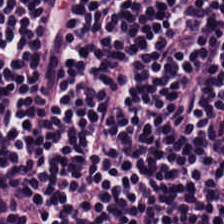H&E-stained tissue section — Classification = lymphoid infiltrate.
